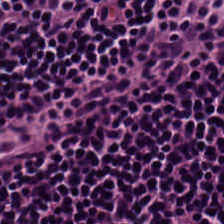Tissue — lymphocyte aggregate.
